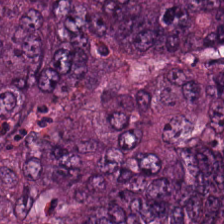Stain: hematoxylin and eosin.
Classification: tumor epithelium.
